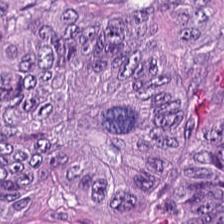Hematoxylin and eosin. This patch shows malignant epithelium.
